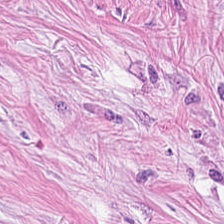Hematoxylin and eosin. Tissue type — cancer-associated stroma.
